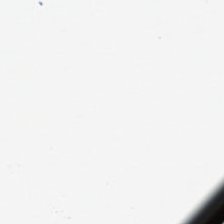Stain: hematoxylin and eosin.
Field content: background (no tissue).
